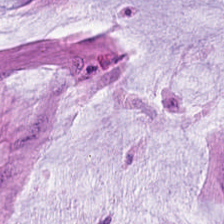H&E-stained tissue section. This patch shows mucin.
